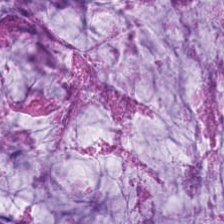Hematoxylin-and-eosin stained section · formalin-fixed paraffin-embedded section · whole-slide-image patch. This patch shows extracellular mucin.
